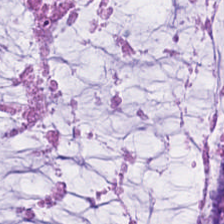Predominantly mucin.
